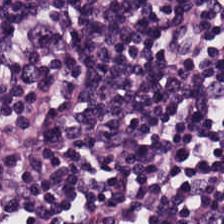Stain: hematoxylin-and-eosin stained section.
Preparation: FFPE.
Tissue: lymphocytes.
